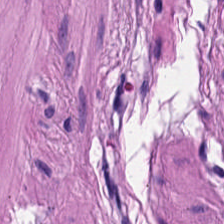Finding → smooth muscle.
